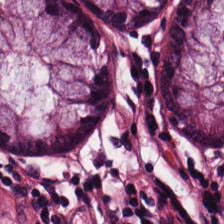Brightfield; H&E-stained tissue section.
This field is normal colonic mucosa.
